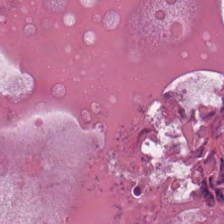FFPE tissue section. H&E-stained tissue section. Tissue — debris.
